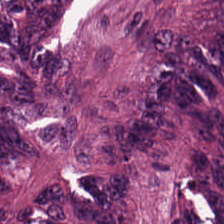Histology — malignant epithelium.
